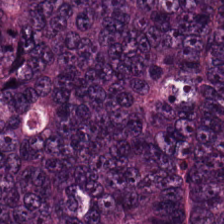FFPE tissue section. Hematoxylin and eosin — Classification: tumor epithelium.
